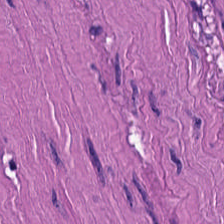FFPE tissue section · H&E · 224×224 px tile. Classification: smooth muscle.
